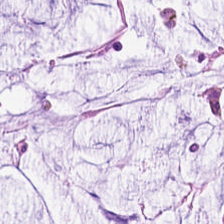Brightfield · 0.5 µm per pixel · hematoxylin-and-eosin stained section. Finding → mucin.
